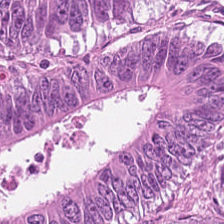H&E · FFPE tissue section. Q: Identify the tissue.
A: This is adenocarcinoma.
